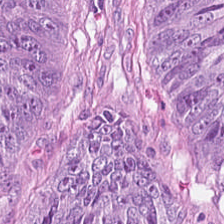Hematoxylin-and-eosin stained section. Brightfield microscopy. Q: What type of tissue is this?
A: The field shows colorectal adenocarcinoma.
